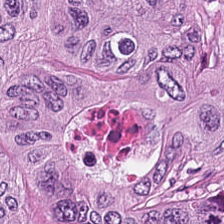Stain: hematoxylin and eosin.
Resolution: 0.5 µm/px.
Preparation: FFPE tissue section.
Tissue: adenocarcinoma.
